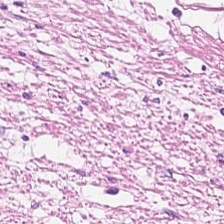H&E — {"tissue_type": "muscularis"}
